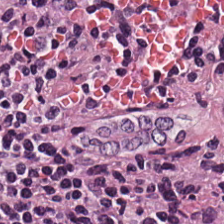The tissue class is lymphoid infiltrate.
